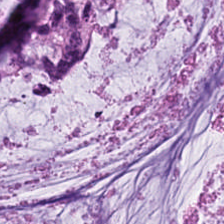H&E-stained tissue section. Tissue type: mucin.
